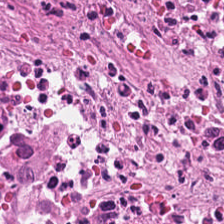Q: What tissue is shown?
A: It is necrotic debris.
